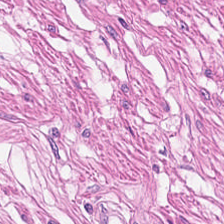H&E stain. Formalin-fixed paraffin-embedded section — Predominantly smooth-muscle tissue.
